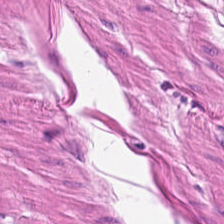WSI patch · hematoxylin-and-eosin stained section — The tissue type is smooth muscle.
